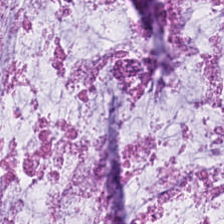Stain: H&E-stained tissue section.
Tissue: mucus.
